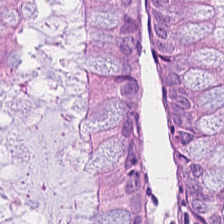Hematoxylin-and-eosin stained section. 224×224 pixel tile. FFPE tissue section — Predominant tissue = normal colonic mucosa.
